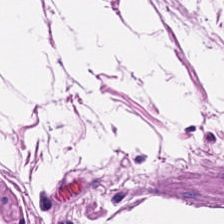224×224 px tile; H&E stain.
Histology → muscularis.
